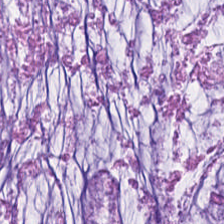Hematoxylin and eosin. Q: What type of tissue is this?
A: This is extracellular mucin.
